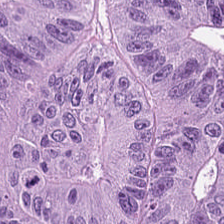Predominant tissue = tumor epithelium.
